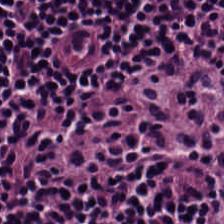Predominant tissue: lymphocytes.
